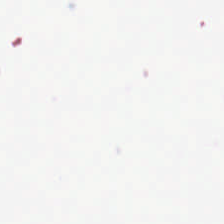Stain: hematoxylin and eosin.
Content: no tissue.
